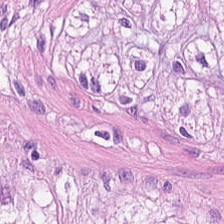Stain: hematoxylin and eosin.
Resolution: 20× equivalent magnification.
Tile size: 224×224 pixel tile.
Tissue type: smooth muscle.
